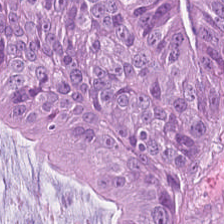H&E. Q: What does this patch show?
A: Tumor epithelium.
